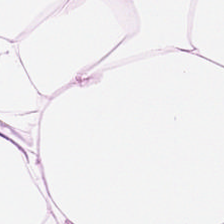H&E-stained tissue section. Q: What tissue is shown?
A: This is adipose tissue.
